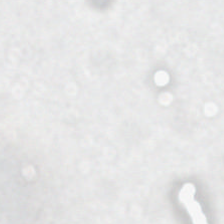H&E stain · 20× equivalent magnification. Field content — background (no tissue).
